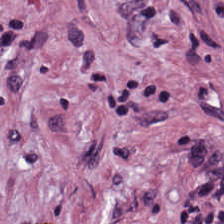H&E stain — Tissue type: desmoplastic stroma.
